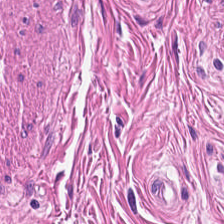H&E-stained tissue section. The classification is smooth-muscle tissue.
